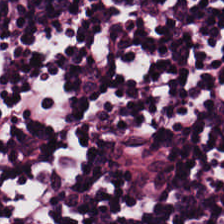H&E-stained tissue section showing lymphoid infiltrate.
